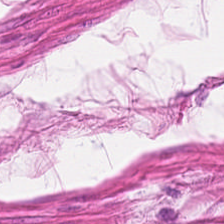H&E-stained tissue section; 20× equivalent magnification; formalin-fixed paraffin-embedded section — Predominantly muscularis.
